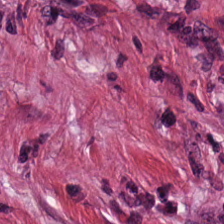H&E — tumor stroma.
